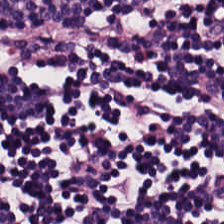Brightfield microscopy. H&E. FFPE — The tissue type is lymphoid infiltrate.
